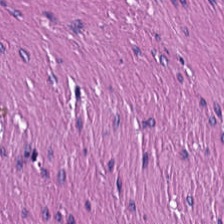Stain: hematoxylin and eosin.
Tile size: 224×224 px tile.
Tissue type: smooth muscle.
